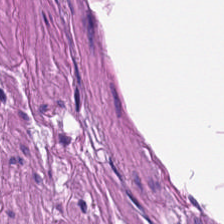Formalin-fixed paraffin-embedded section · 20× equivalent magnification · H&E stain. This patch shows smooth muscle.
